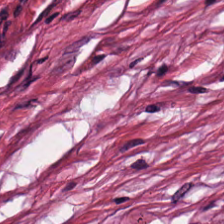Hematoxylin-and-eosin stained section — Tumor stroma.
